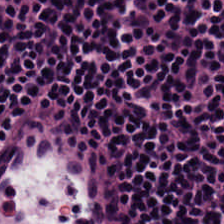Stain: H&E.
Predominant tissue: lymphoid infiltrate.
